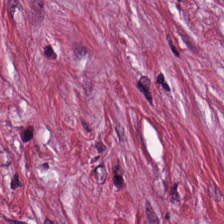Stain: hematoxylin and eosin.
Tissue: tumor-associated stroma.
